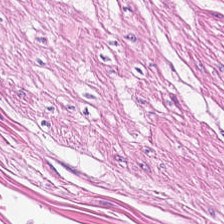H&E-stained section; the field shows muscularis.
